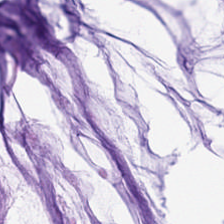224×224 pixel tile; H&E stain; 0.5 µm/px.
This field is mucus.
